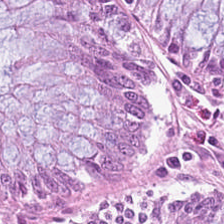H&E stain. Finding — normal colon mucosa.
